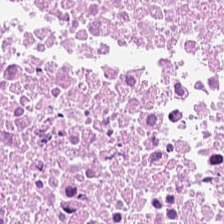Stain: hematoxylin and eosin.
Tissue type: necrotic debris.
